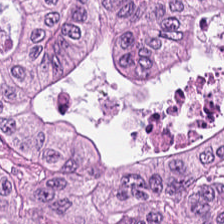WSI patch. 224×224 pixel tile. H&E stain. Q: What type of tissue is this?
A: This is malignant epithelium.
